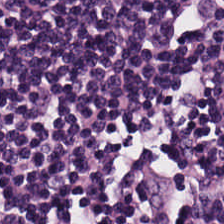H&E-stained tissue section. Predominantly lymphocytic infiltrate.
